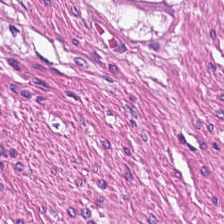H&E-stained tissue section. FFPE. Smooth muscle.
